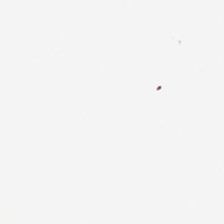Hematoxylin-and-eosin stained section — Background — no tissue in this field.
